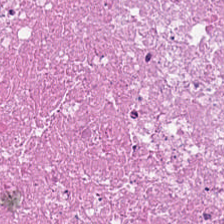H&E. 224×224 px patch. Classification = cellular debris.
